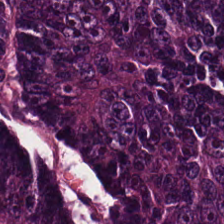H&E · formalin-fixed paraffin-embedded section — Malignant epithelium.
